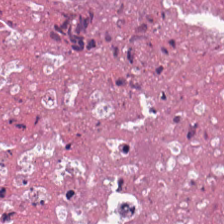Formalin-fixed paraffin-embedded section · H&E-stained tissue section — Debris.
